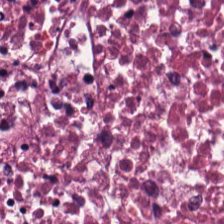The predominant tissue is cellular debris.
